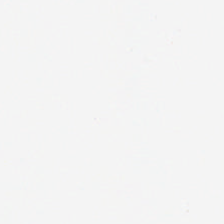H&E. Field content — background (no tissue).
